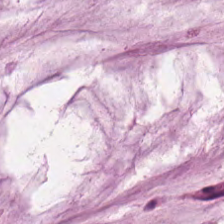FFPE tissue section; brightfield; hematoxylin-and-eosin stained section. Q: What tissue is shown?
A: It is extracellular mucin.
